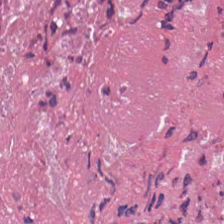H&E stain. Cellular debris.
